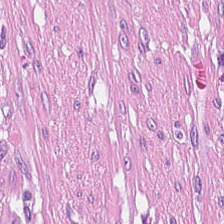Q: Identify the tissue.
A: It is tumor-associated stroma.
